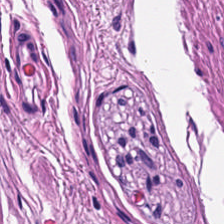Hematoxylin-and-eosin section: smooth-muscle tissue.
